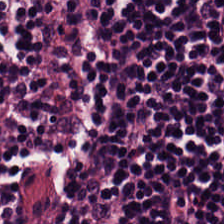Hematoxylin-and-eosin stained section.
Predominantly lymphocytic infiltrate.
